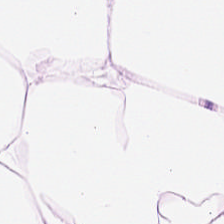0.5 microns per pixel · H&E-stained tissue section. Fat tissue.
